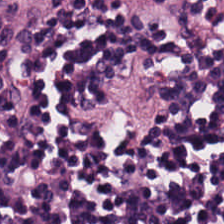224×224 px patch · hematoxylin-and-eosin stained section — Tissue class = lymphocytic infiltrate.
